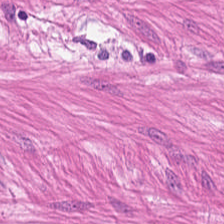Stain: hematoxylin and eosin.
Tile size: 224×224 pixel tile.
Classification: muscularis.
